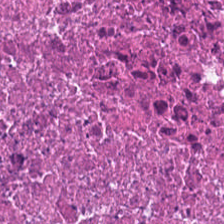The tissue type is debris.
